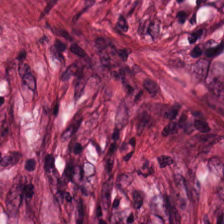H&E stain.
Predominantly tumor-associated stroma.
